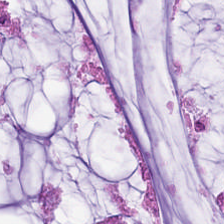0.5 µm per pixel; H&E stain.
The tissue is extracellular mucin.
